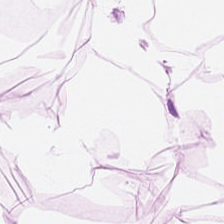Tissue type — adipose.
